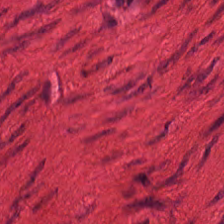FFPE tissue section · 224×224 pixel tile · H&E stain. Showing smooth-muscle tissue.
